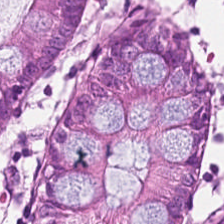H&E. 0.5 µm per pixel. Whole-slide-image patch.
Q: What type of tissue is this?
A: Normal colonic mucosa.
